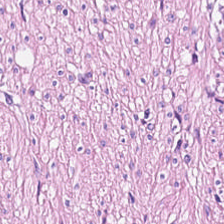Hematoxylin-and-eosin stained section; 0.5 µm/px.
Showing smooth muscle.
